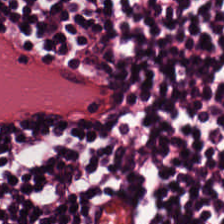Q: What tissue type is shown here?
A: This is lymphocytes.
